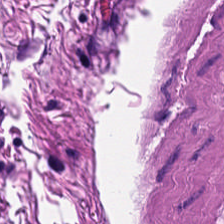Classification = muscularis.
